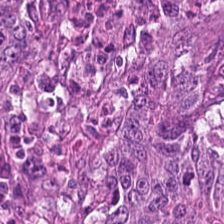Showing adenocarcinoma.
